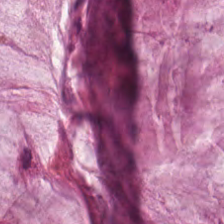H&E — mucin.
